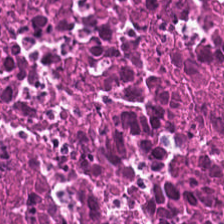Hematoxylin-and-eosin stained section.
Debris.
